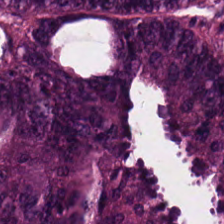Hematoxylin and eosin; whole-slide-image patch.
Predominantly colorectal adenocarcinoma epithelium.
